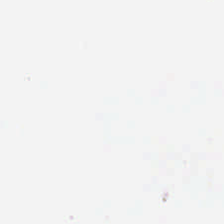H&E-stained tissue section; brightfield.
Field content: background.
